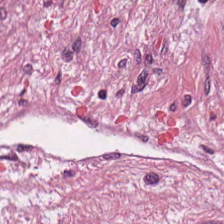H&E-stained tissue section.
Predominantly tumor stroma.
